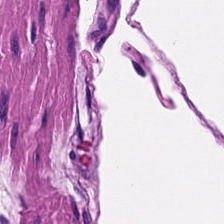This patch shows smooth-muscle tissue.
